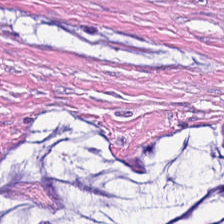H&E-stained tissue section.
{"tissue_type": "cancer-associated stroma"}
